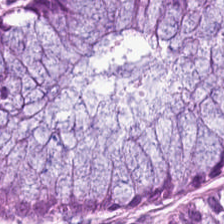Stain: H&E.
Resolution: 20× equivalent magnification.
Tile size: 224×224 px patch.
Classification: benign colonic mucosa.
